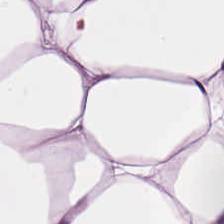Hematoxylin-and-eosin section: adipocytes.
